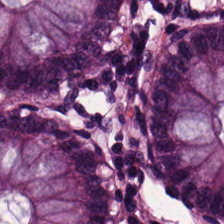H&E-stained tissue section — Q: What is the predominant tissue type?
A: It is normal colon mucosa.
